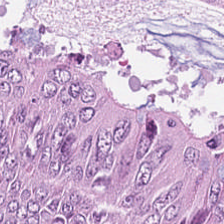H&E-stained tissue section — Finding → colorectal adenocarcinoma.
